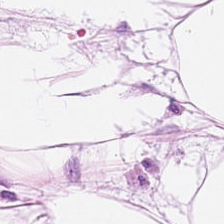Formalin-fixed paraffin-embedded section. H&E — {"tissue_type": "fat tissue"}
